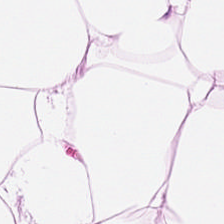Hematoxylin-and-eosin stained section. {"tissue_type": "adipose"}
